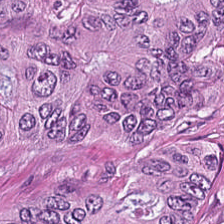20× equivalent magnification. H&E stain. FFPE tissue section — Q: What is the predominant tissue type?
A: It is adenocarcinoma.
